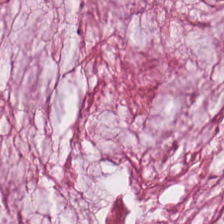H&E stain. 224×224 px tile. Impression — extracellular mucin.
